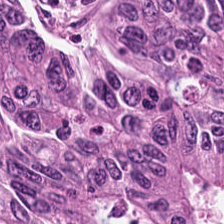H&E · formalin-fixed paraffin-embedded section.
Malignant epithelium.
